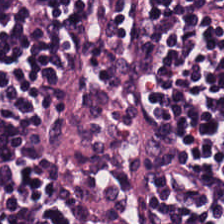Q: What type of tissue is this?
A: It is lymphocytic infiltrate.
